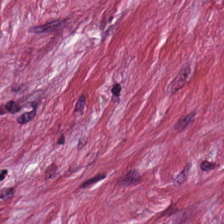Hematoxylin-and-eosin stained section — This field is cancer-associated stroma.
